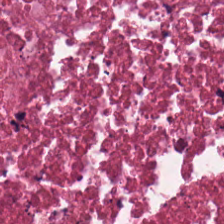FFPE tissue section. Hematoxylin and eosin. 0.5 µm per pixel. {"tissue_type": "cellular debris"}
